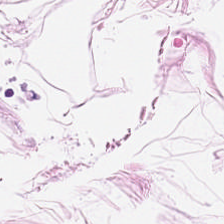H&E-stained tissue section · FFPE tissue section — Tissue — adipocytes.
